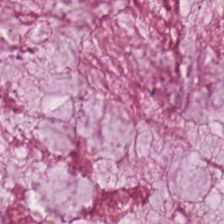FFPE · whole-slide-image patch · H&E-stained tissue section.
Q: Classify this patch.
A: Extracellular mucin.
